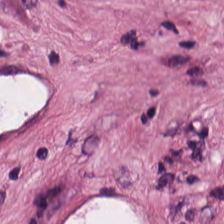H&E-stained tissue section.
This patch shows desmoplastic stroma.
